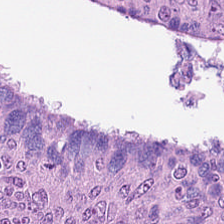Formalin-fixed paraffin-embedded section; H&E stain.
Showing adenocarcinoma.
